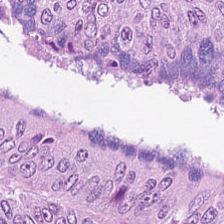H&E — Predominantly malignant epithelium.
